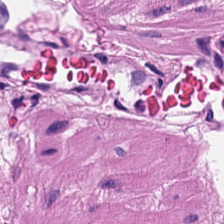Q: What is the predominant tissue type?
A: This is smooth-muscle tissue.
